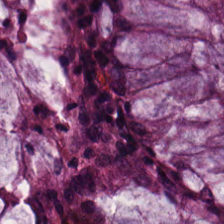Hematoxylin-and-eosin section: normal colonic mucosa.
